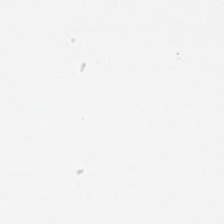Impression — no tissue.
